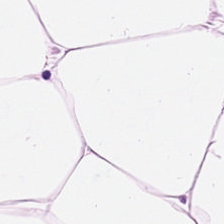Hematoxylin and eosin.
Predominant tissue — fat tissue.
